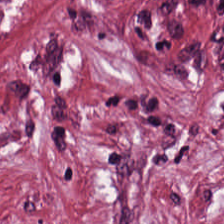Hematoxylin and eosin; 224×224 px patch — Tissue type: desmoplastic stroma.
